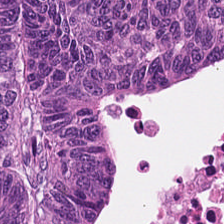FFPE · hematoxylin-and-eosin stained section · brightfield — Showing tumor epithelium.
